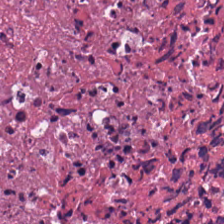Hematoxylin and eosin.
The tissue here is necrotic debris.
